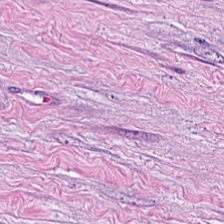WSI patch · hematoxylin-and-eosin stained section — Q: Classify this patch.
A: This is tumor stroma.
